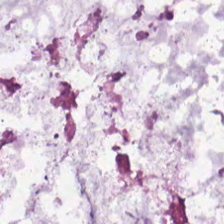224×224 px tile; FFPE tissue section; H&E stain — Finding — extracellular mucin.
